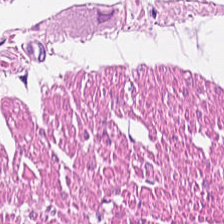Stain: H&E stain.
Resolution: 20× equivalent magnification.
Preparation: formalin-fixed paraffin-embedded section.
Tissue: smooth muscle.
